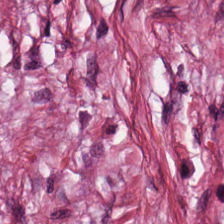H&E · brightfield · 224×224 px patch — The predominant tissue is tumor-associated stroma.
